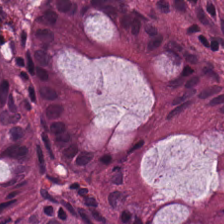H&E stain.
Classification = benign colonic mucosa.
